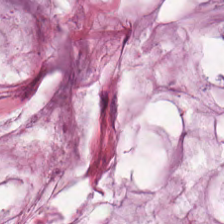The predominant tissue is mucus.
